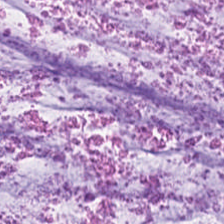0.5 µm per pixel · 224×224 px patch · H&E.
This field is mucin.
